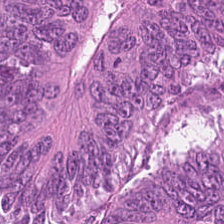H&E — Predominant tissue — malignant epithelium.
